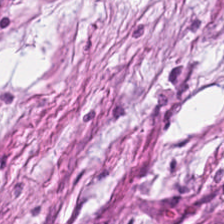H&E patch showing desmoplastic stroma.
